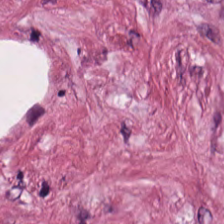Desmoplastic stroma.
